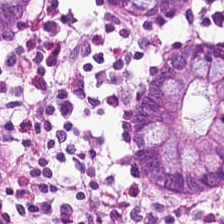Brightfield microscopy; 224×224 px tile; hematoxylin and eosin. The tissue here is normal colon mucosa.
